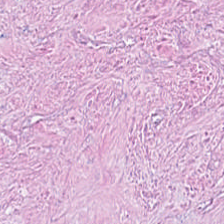224×224 px tile · hematoxylin-and-eosin stained section.
Tissue type = debris.
